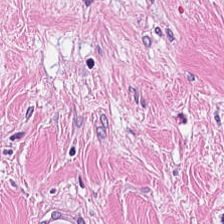Stain: hematoxylin-and-eosin stained section.
Predominant tissue: tumor-associated stroma.
